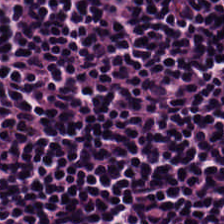Classification: lymphoid infiltrate.
